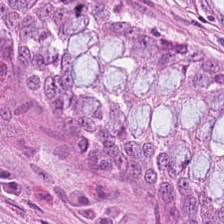0.5 µm per pixel · hematoxylin-and-eosin stained section.
The predominant tissue is benign colonic mucosa.
